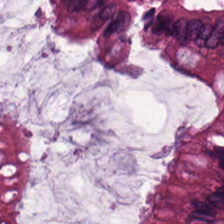FFPE tissue section; H&E-stained tissue section. {"tissue_type": "benign colonic mucosa"}
